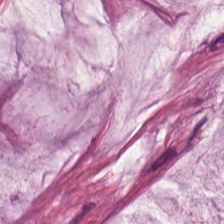Stain: hematoxylin and eosin.
Tile size: 224×224 px patch.
Tissue: mucin.
